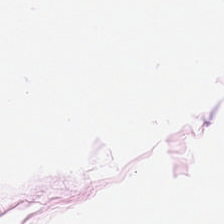Histology — adipose.
